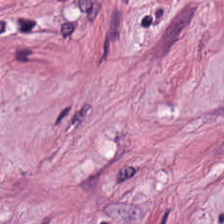Hematoxylin and eosin; FFPE tissue section; 20× equivalent magnification — Q: What is the predominant tissue type?
A: Desmoplastic stroma.
